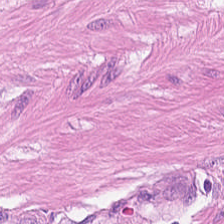WSI patch; H&E. Q: What type of tissue is this?
A: It is muscularis.
